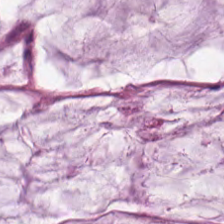H&E-stained tissue section — Histology — extracellular mucin.
